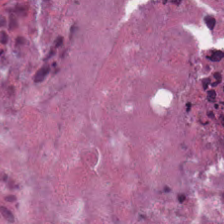{"tissue_type": "necrotic debris"}
